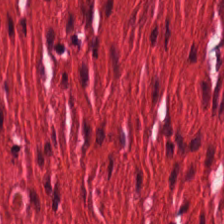The classification is smooth-muscle tissue.
